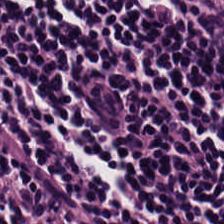H&E. Lymphocytes.
